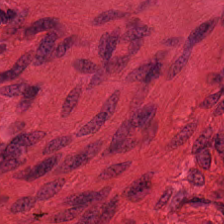H&E-stained tissue section.
Classification — smooth muscle.
